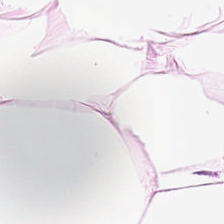H&E stain. Showing fat tissue.
